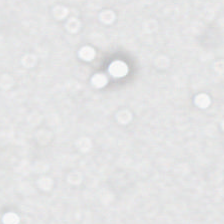20× equivalent magnification; hematoxylin-and-eosin stained section — Histology → no tissue.
